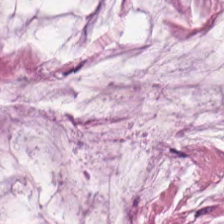H&E stain · FFPE. Classification — extracellular mucin.
